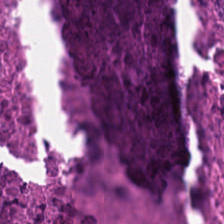This field is debris.
